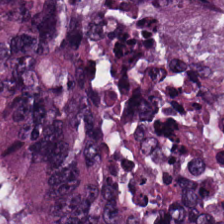Hematoxylin-and-eosin stained section.
Tissue type — tumor epithelium.
